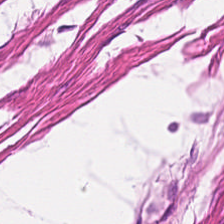Stain: H&E stain.
Classification: smooth-muscle tissue.
